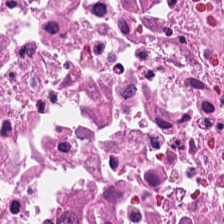Classification — debris.
